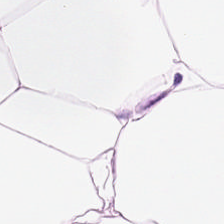Hematoxylin-and-eosin stained section — Classification: fat tissue.
